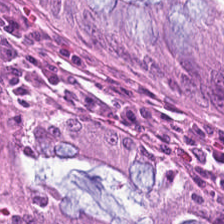{"tissue_type": "benign colonic mucosa"}
